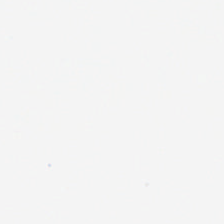H&E-stained tissue section · brightfield microscopy · 20× equivalent magnification — Content: no tissue.
